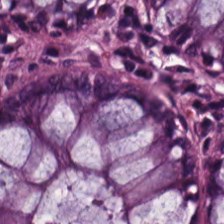FFPE tissue section · H&E stain.
Histology — benign colonic mucosa.
